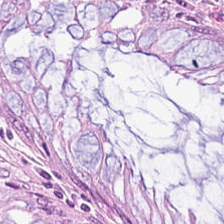H&E-stained tissue section. Tissue type: benign colonic mucosa.
